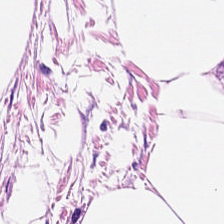FFPE. H&E — This field is adipose tissue.
